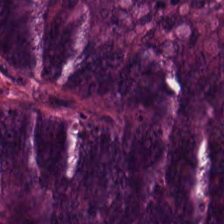H&E stain. The tissue here is colorectal adenocarcinoma.
